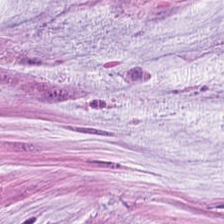FFPE tissue section. H&E stain — Q: What is the predominant tissue type?
A: Mucus.
